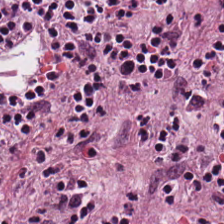H&E — lymphocyte aggregate.
